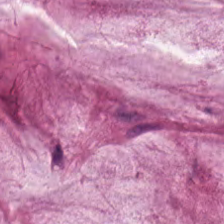Hematoxylin-and-eosin stained section.
Tissue class = extracellular mucin.
